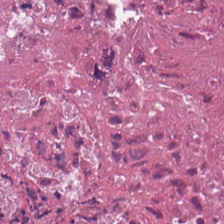Predominant tissue = necrotic debris.
